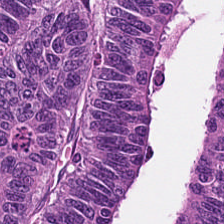The predominant tissue is colorectal adenocarcinoma epithelium.
